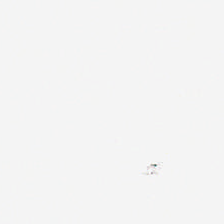Empty field — no tissue.
